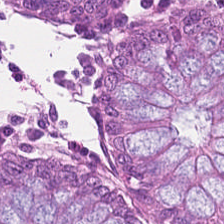Stain: H&E.
Resolution: 0.5 µm/px.
Classification: normal colonic mucosa.
